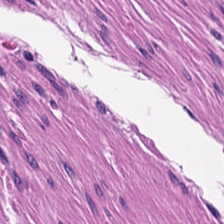H&E patch showing muscularis.
